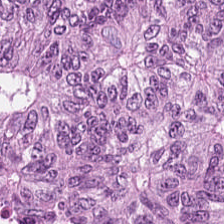Q: What is shown here?
A: It is tumor epithelium.
